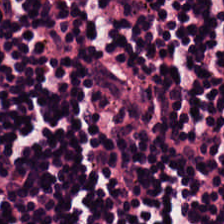Stain: H&E.
Predominant tissue: lymphocytes.
